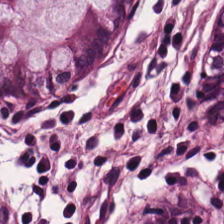The predominant tissue is non-neoplastic colon mucosa.
